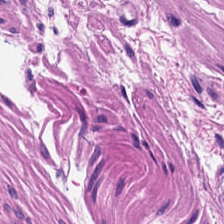FFPE tissue section; H&E-stained tissue section — Showing smooth muscle.
